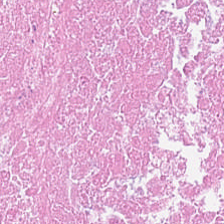The predominant tissue is necrotic debris.
